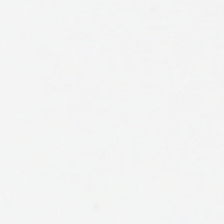FFPE; whole-slide-image patch; hematoxylin-and-eosin stained section — Q: What is shown here?
A: It is background.
